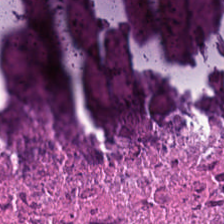Hematoxylin-and-eosin stained section. Predominant tissue — debris.
